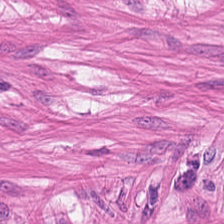H&E-stained tissue section. Tissue class = muscularis.
